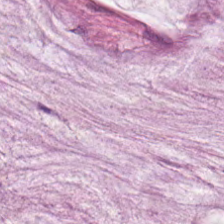Whole-slide-image patch. Hematoxylin-and-eosin stained section.
{"tissue_type": "extracellular mucin"}
